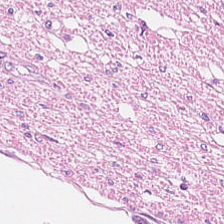This patch shows muscularis.
